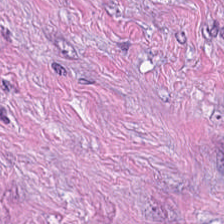H&E-stained tissue section; brightfield microscopy — This field is desmoplastic stroma.
